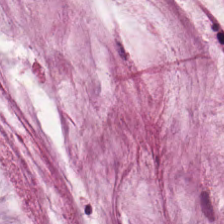Formalin-fixed paraffin-embedded section · brightfield microscopy · H&E stain. Predominantly extracellular mucin.
